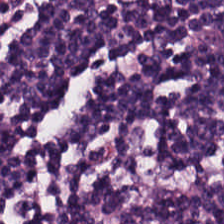Classification = lymphocytic infiltrate.
